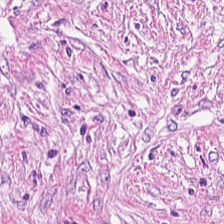This patch shows tumor-associated stroma.
